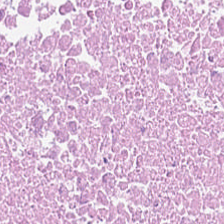Hematoxylin-and-eosin stained section — This field is debris.
